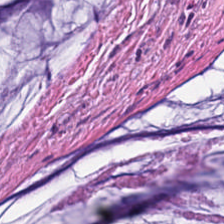Hematoxylin-and-eosin stained section. Predominant tissue: mucus.
